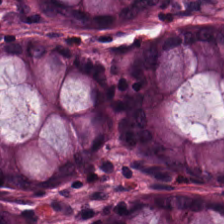Hematoxylin and eosin. The classification is non-neoplastic colon mucosa.
